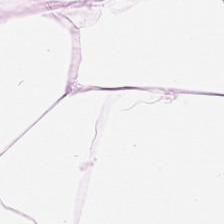H&E — Predominantly adipocytes.
